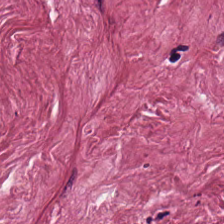20× equivalent magnification. Hematoxylin and eosin — Classification — tumor stroma.
